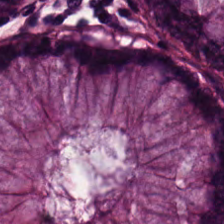H&E-stained tissue section — Classification — normal colonic mucosa.
